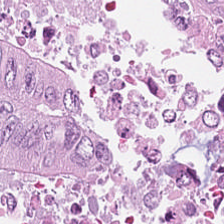H&E · formalin-fixed paraffin-embedded section · whole-slide-image patch — Classification — colorectal adenocarcinoma epithelium.
